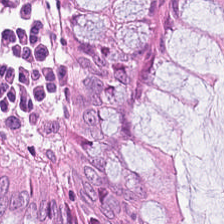FFPE. Hematoxylin and eosin — Classification — non-neoplastic colon mucosa.
